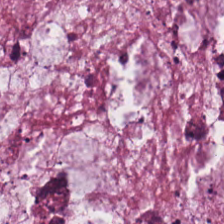H&E-stained section; the field shows extracellular mucin.
